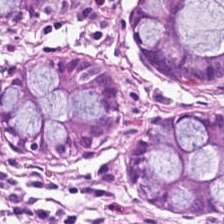Hematoxylin and eosin. 224×224 pixel tile. This patch shows normal colon mucosa.
